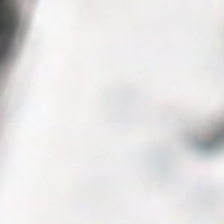Hematoxylin-and-eosin stained section. Empty background.
